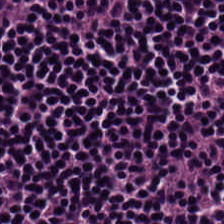H&E stain — Impression — lymphocytic infiltrate.
